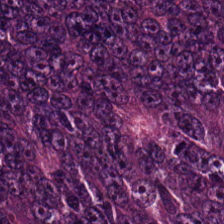H&E stain.
This patch shows tumor epithelium.
